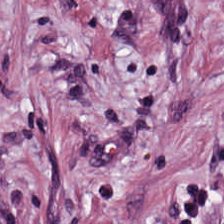H&E-stained tissue section.
{"tissue_type": "tumor stroma"}
